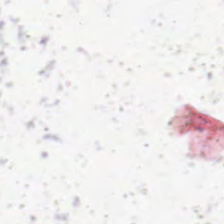Hematoxylin and eosin — Field content = background (no tissue).
